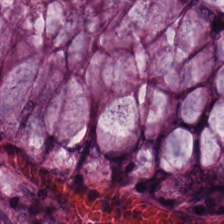Hematoxylin and eosin.
This field is benign colonic mucosa.
